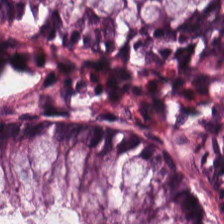H&E stain; FFPE tissue section. {"tissue_type": "normal colonic mucosa"}
